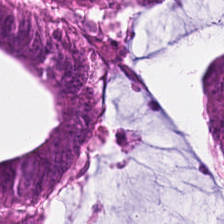H&E stain — Showing tumor epithelium.
